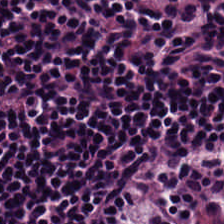Stain: H&E.
Tissue class: lymphocytic infiltrate.
